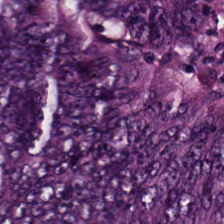H&E stain · 224×224 px tile · FFPE tissue section.
This patch shows malignant epithelium.
